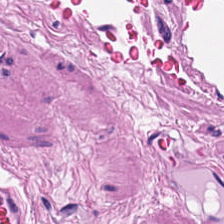Hematoxylin and eosin. 0.5 µm/px. 224×224 px tile.
Predominantly smooth muscle.
